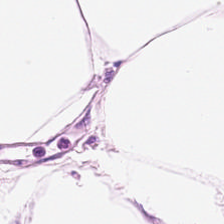Impression — adipose tissue.
